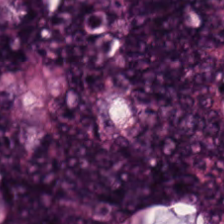H&E stain — Classification — colorectal adenocarcinoma.
